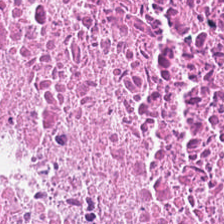H&E-stained tissue section. 0.5 µm/px. Impression — cellular debris.
